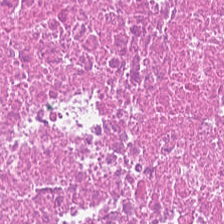H&E stain. The predominant tissue is debris.
